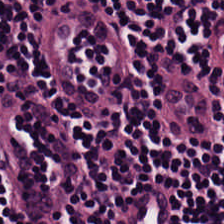Brightfield microscopy; H&E stain; 224×224 px tile — Tissue class — lymphocyte aggregate.
